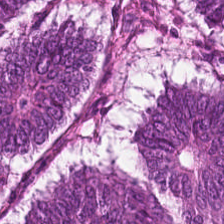H&E · formalin-fixed paraffin-embedded section.
The tissue here is colorectal adenocarcinoma epithelium.
